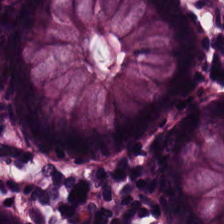WSI patch; hematoxylin-and-eosin stained section — Classification: normal colon mucosa.
